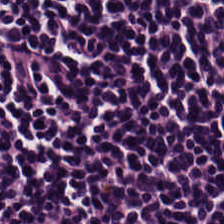Lymphocytes.
